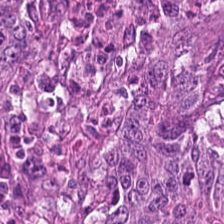H&E stain.
The tissue is tumor epithelium.
